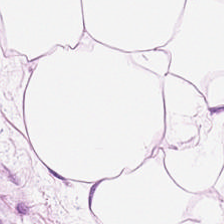224×224 pixel tile; hematoxylin and eosin — This field is adipose tissue.
